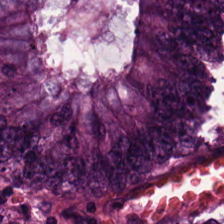WSI patch. H&E.
The tissue type is colorectal adenocarcinoma.
